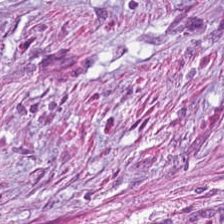Classification — tumor stroma.
